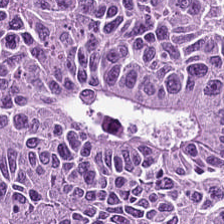H&E-stained tissue section; formalin-fixed paraffin-embedded section — The tissue class is adenocarcinoma.
